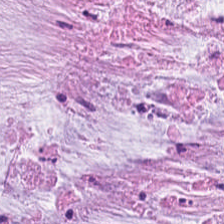224×224 pixel tile. FFPE tissue section. H&E stain — Impression — mucin.
